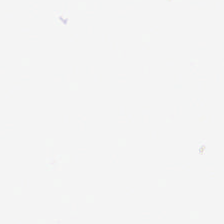H&E. Finding — background.
